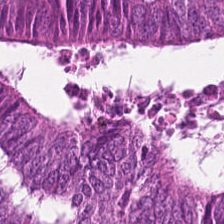Impression → colorectal adenocarcinoma.
